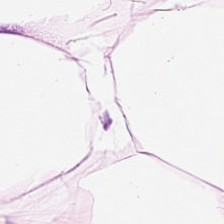H&E stain. FFPE tissue section — This patch shows adipose.
